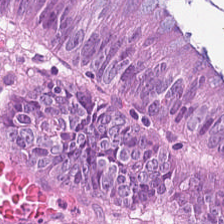WSI patch. H&E. 224×224 px patch. The tissue here is adenocarcinoma.
